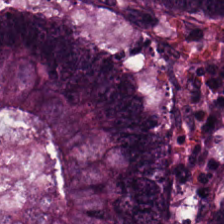H&E stain.
Q: What is the predominant tissue type?
A: It is tumor epithelium.
